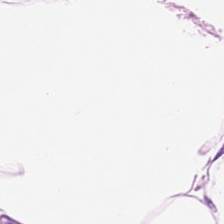224×224 px patch · H&E. Classification — adipose tissue.
